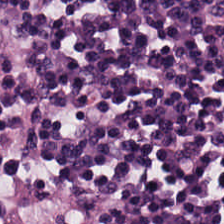Impression — lymphocytic infiltrate.
